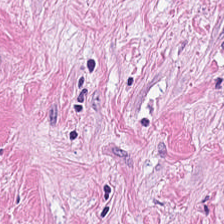H&E stain — The tissue here is cancer-associated stroma.
